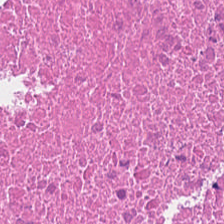Formalin-fixed paraffin-embedded section. Hematoxylin and eosin. Predominant tissue — necrotic debris.
